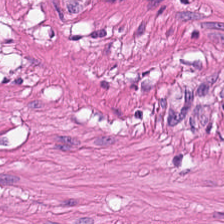H&E. The tissue class is smooth muscle.
